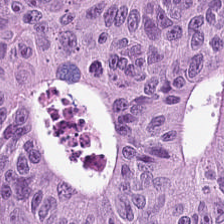Q: What type of tissue is this?
A: It is malignant epithelium.
